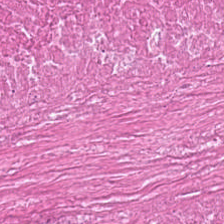224×224 pixel tile · H&E · whole-slide-image patch.
The tissue here is debris.
